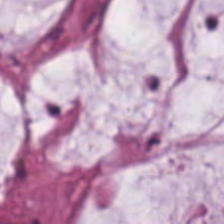Whole-slide-image patch; hematoxylin-and-eosin stained section; FFPE.
Classification — extracellular mucin.
